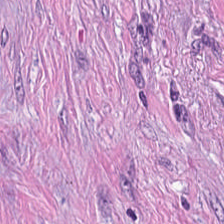H&E; formalin-fixed paraffin-embedded section — Tumor-associated stroma.
